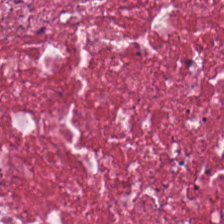Hematoxylin-and-eosin stained section.
Tissue type: cancer-associated stroma.
